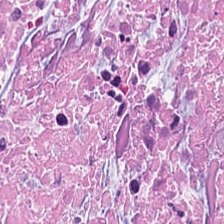FFPE · H&E stain · 224×224 pixel tile. Showing cellular debris.
